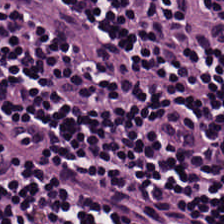H&E.
Classification: lymphocytic infiltrate.
